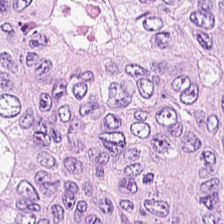WSI patch. H&E-stained tissue section. FFPE tissue section — Tissue type — colorectal adenocarcinoma.
